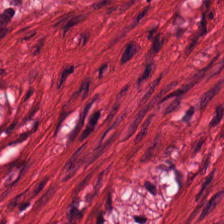Predominant tissue: smooth-muscle tissue.
